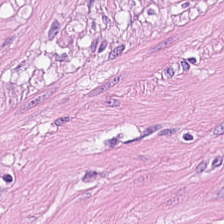224×224 px tile · whole-slide-image patch · hematoxylin and eosin.
Q: What type of tissue is this?
A: It is muscularis.
